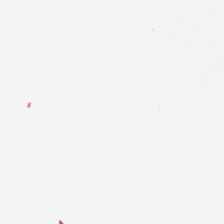H&E. Field content — empty background.
